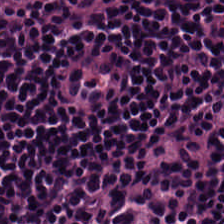224×224 px patch. H&E-stained tissue section. Formalin-fixed paraffin-embedded section. Impression → lymphocyte aggregate.
